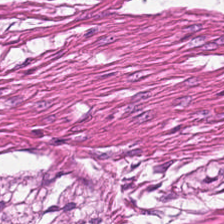H&E stain. WSI patch. 0.5 µm per pixel. {"tissue_type": "smooth-muscle tissue"}
